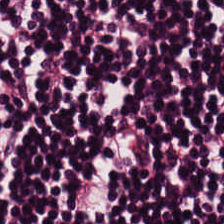H&E stain. This patch shows lymphocytes.
